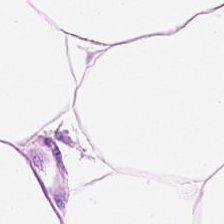H&E. The classification is adipocytes.
